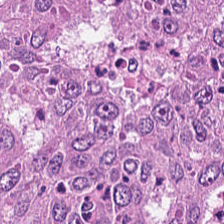H&E-stained tissue section. 224×224 pixel tile.
The tissue here is colorectal adenocarcinoma epithelium.
